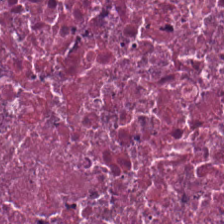Stain: hematoxylin-and-eosin stained section.
Tissue type: debris.
